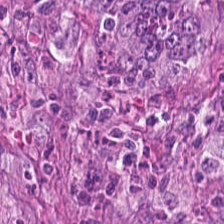Showing malignant epithelium.
